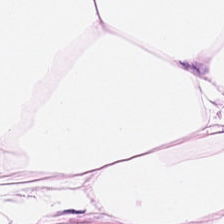Whole-slide-image patch; hematoxylin-and-eosin stained section — Predominantly fat tissue.
